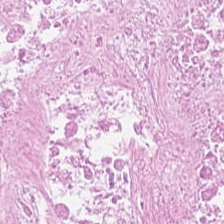FFPE tissue section; H&E-stained tissue section.
Tissue — necrotic debris.
